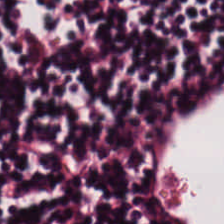Stain: H&E stain.
Predominant tissue: lymphocytic infiltrate.
